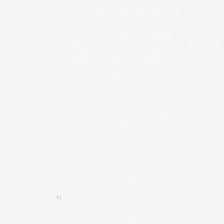H&E — Background — no tissue in this field.
